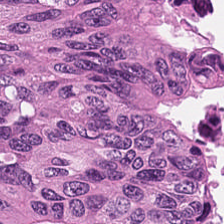H&E stain · brightfield microscopy · 224×224 px tile — This patch shows necrotic debris.
